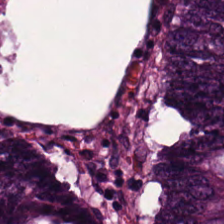H&E-stained tissue section — Finding — colorectal adenocarcinoma epithelium.
